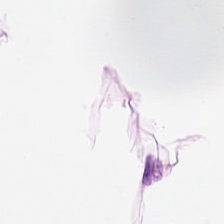Stain: H&E.
Preparation: formalin-fixed paraffin-embedded section.
Tissue: fat tissue.
